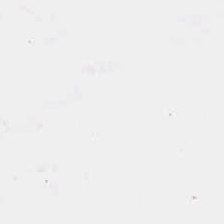FFPE. H&E-stained tissue section. WSI patch — Q: What is shown in this field?
A: This is no tissue.
